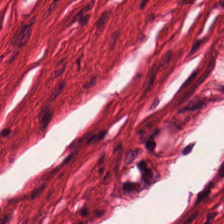H&E patch showing muscularis.
